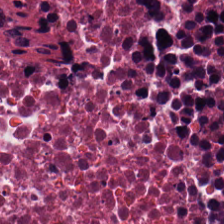Finding — necrotic debris.
